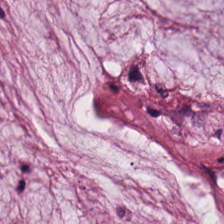H&E-stained tissue section showing mucin.
